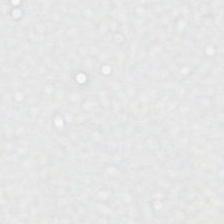No tissue.
